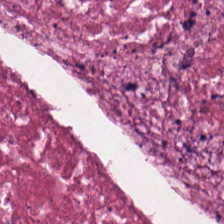H&E stain — The tissue here is debris.
